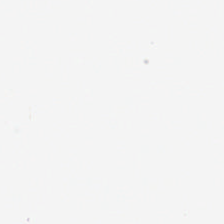Background (no tissue).
